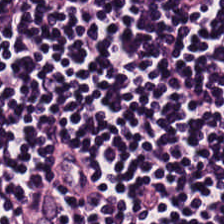The tissue here is lymphocytic infiltrate.
